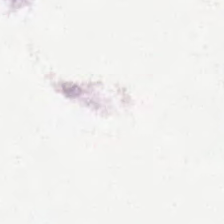The content is background (no tissue).
